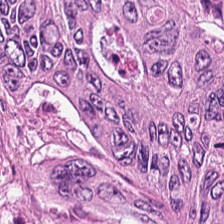Tissue = colorectal adenocarcinoma epithelium.
